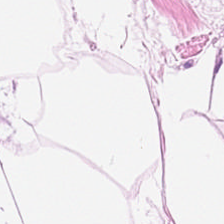H&E-stained tissue section — Adipocytes.
